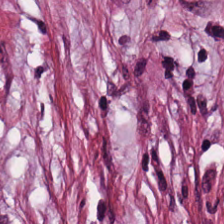0.5 µm/px. H&E-stained tissue section. This patch shows cancer-associated stroma.
